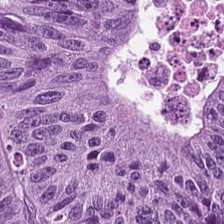Q: What is shown here?
A: The field shows colorectal adenocarcinoma epithelium.
